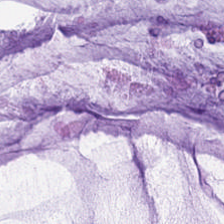FFPE. Hematoxylin-and-eosin stained section. {"tissue_type": "mucus"}
